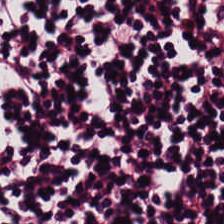Brightfield. Hematoxylin-and-eosin stained section. The tissue class is lymphocyte aggregate.
